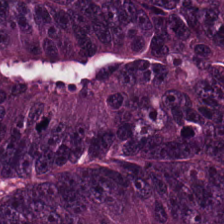Q: Classify this patch.
A: The field shows adenocarcinoma.
